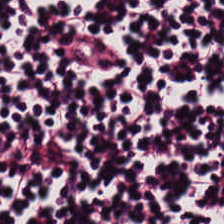Stain: H&E stain.
Tile size: 224×224 px patch.
Predominant tissue: lymphocytic infiltrate.
